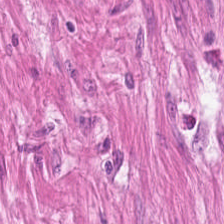Brightfield. FFPE tissue section. Hematoxylin-and-eosin stained section — Muscularis.
